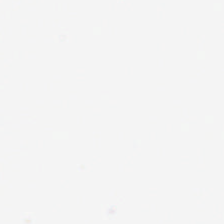Classification: background (no tissue).
